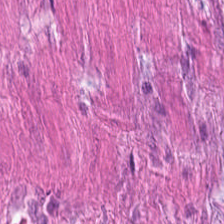Hematoxylin and eosin — Tissue class: smooth-muscle tissue.
